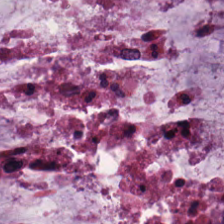20× equivalent magnification · hematoxylin and eosin · brightfield microscopy.
{"tissue_type": "mucin"}
